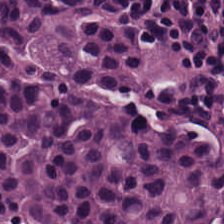Stain: hematoxylin and eosin.
Tissue: lymphoid infiltrate.
